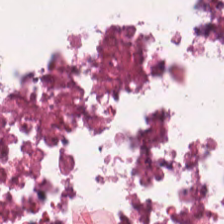This patch shows necrotic debris.
